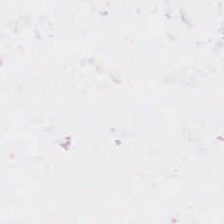Hematoxylin and eosin. Histology — no tissue.
